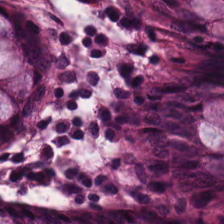Stain: H&E-stained tissue section.
Predominant tissue: normal colonic mucosa.
